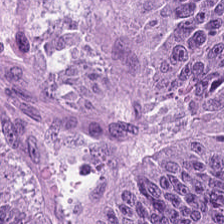Hematoxylin-and-eosin stained section.
Showing adenocarcinoma.
